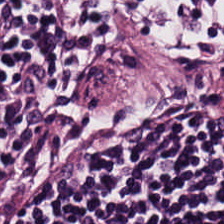WSI patch. 0.5 microns per pixel. Hematoxylin and eosin. This patch shows lymphocytic infiltrate.
